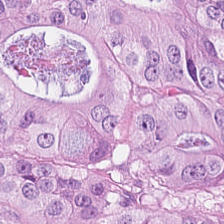0.5 microns per pixel; 224×224 px patch; hematoxylin-and-eosin stained section. Finding → colorectal adenocarcinoma.
